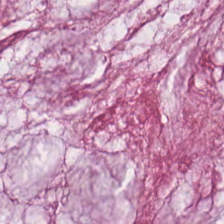The tissue here is mucus.
